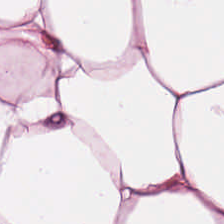Q: What is the predominant tissue type?
A: The field shows adipocytes.
